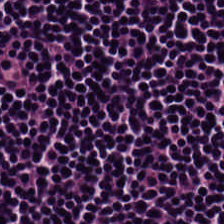H&E. Q: What tissue type is shown here?
A: Lymphocytic infiltrate.
